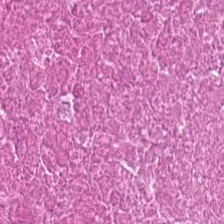Q: What is the predominant tissue type?
A: This is debris.
